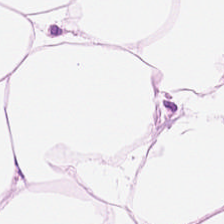H&E stain. FFPE. Q: What is shown in this field?
A: It is adipocytes.
